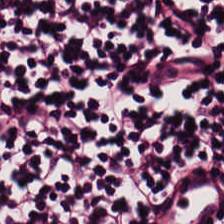Whole-slide-image patch; hematoxylin-and-eosin stained section.
Q: What is shown here?
A: It is lymphocytes.
